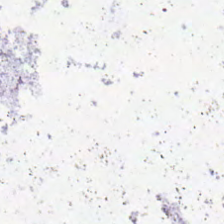No tissue present; background only.
